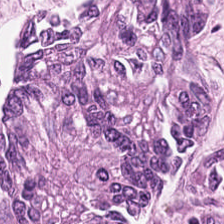Formalin-fixed paraffin-embedded section · hematoxylin and eosin — The tissue type is malignant epithelium.
